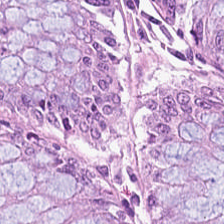H&E stain; whole-slide-image patch.
Predominantly normal colon mucosa.
